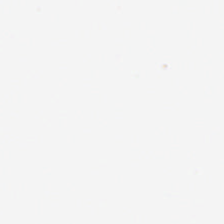H&E.
Q: What does this patch show?
A: The field shows empty background.
